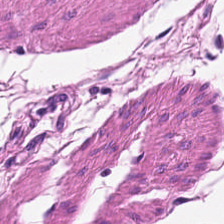H&E stain — Q: What does this patch show?
A: Smooth muscle.
